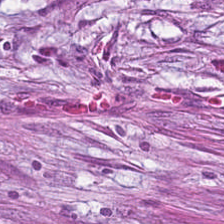Whole-slide-image patch. Hematoxylin-and-eosin stained section. Finding — tumor-associated stroma.
